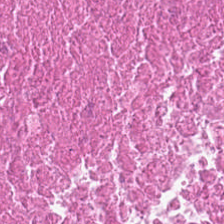WSI patch. Hematoxylin and eosin. Showing cellular debris.
